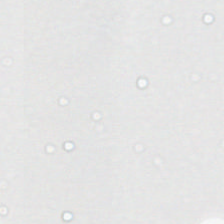The field content is background (no tissue).
